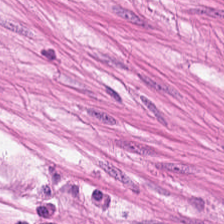Histology → smooth muscle.
